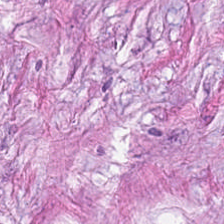Tissue — cancer-associated stroma.
